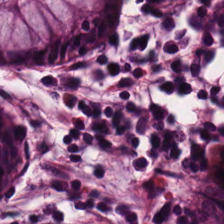Predominantly normal colon mucosa.
